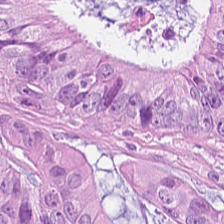Hematoxylin and eosin.
The predominant tissue is colorectal adenocarcinoma epithelium.
